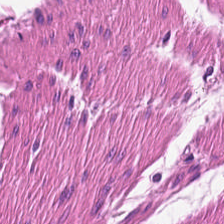Hematoxylin-and-eosin stained section. Classification — muscularis.
